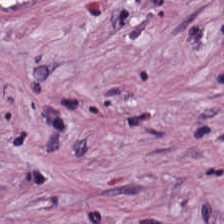The predominant tissue is desmoplastic stroma.
